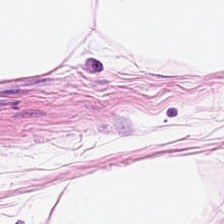H&E-stained tissue section. Q: Identify the tissue.
A: This is fat tissue.
